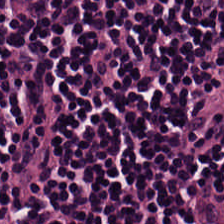Tissue type = lymphoid infiltrate.
